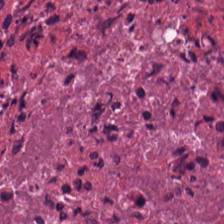Hematoxylin-and-eosin stained section. This field is debris.
